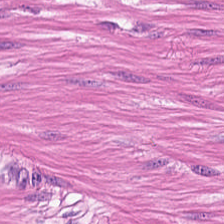H&E; FFPE — Tissue = smooth muscle.
